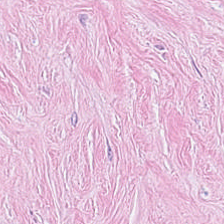Predominant tissue — tumor-associated stroma.
